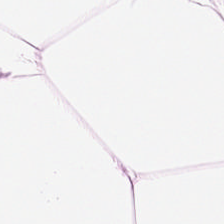224×224 pixel tile · H&E stain — Adipose tissue.
